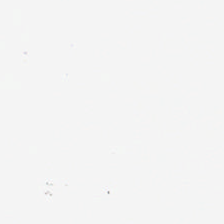Hematoxylin-and-eosin stained section. Q: What is shown in this field?
A: The field shows no tissue.
